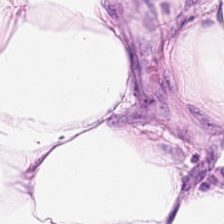Q: What is the predominant tissue type?
A: It is adipose.
